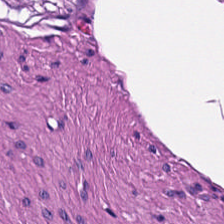Tissue type: smooth-muscle tissue.
